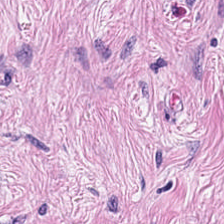Q: What tissue type is shown here?
A: This is desmoplastic stroma.
